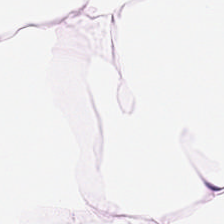20× equivalent magnification · H&E-stained tissue section · brightfield microscopy — The predominant tissue is adipose.
